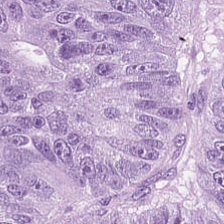Hematoxylin-and-eosin stained section. This patch shows malignant epithelium.
